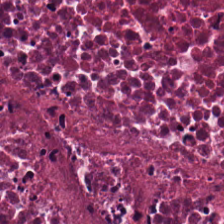H&E stain.
Q: What is shown in this field?
A: It is necrotic debris.
